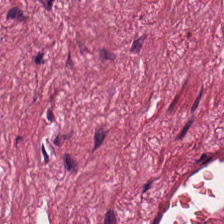Q: Identify the tissue.
A: This is desmoplastic stroma.
